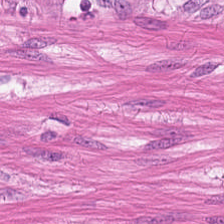Stain: H&E-stained tissue section.
Tissue class: muscularis.
